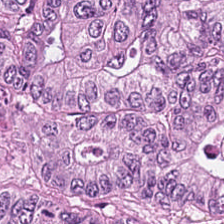Hematoxylin-and-eosin stained section. Predominant tissue: adenocarcinoma.
